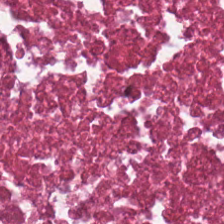Brightfield microscopy · 224×224 pixel tile · hematoxylin and eosin.
This field is necrotic debris.
